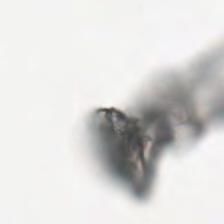Whole-slide-image patch · 224×224 px tile · H&E stain.
The field content is background.
